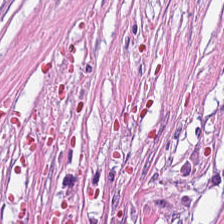H&E-stained tissue section.
Q: What tissue is shown?
A: This is cancer-associated stroma.
